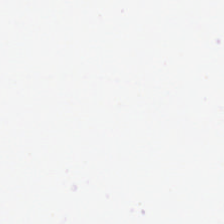Hematoxylin and eosin. Impression → background (no tissue).
